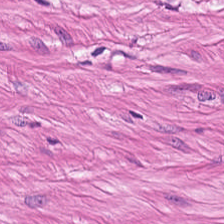H&E stain.
{"tissue_type": "smooth-muscle tissue"}
